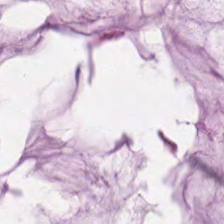Q: What is shown here?
A: It is mucin.
